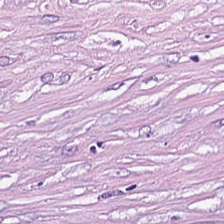Hematoxylin-and-eosin stained section · brightfield microscopy · FFPE. Q: What is the predominant tissue type?
A: It is cancer-associated stroma.
